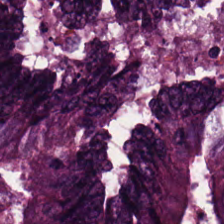20× equivalent magnification. Hematoxylin-and-eosin stained section. WSI patch.
Classification — colorectal adenocarcinoma epithelium.
